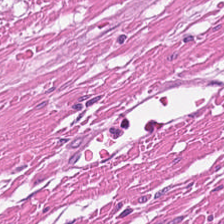H&E-stained tissue section. 224×224 pixel tile. Predominant tissue — muscularis.
